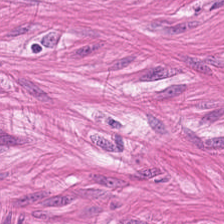H&E · FFPE.
Smooth-muscle tissue.
